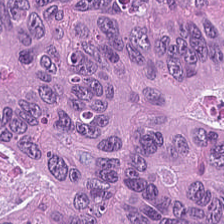Brightfield · formalin-fixed paraffin-embedded section · H&E. Adenocarcinoma.
